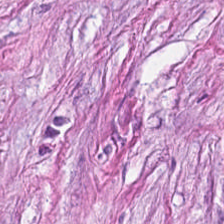Histology → tumor stroma.
